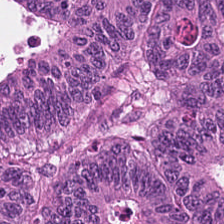FFPE · H&E · 0.5 µm/px.
This field is colorectal adenocarcinoma.
